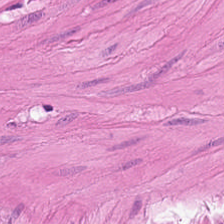FFPE. Hematoxylin-and-eosin stained section.
Q: What is shown here?
A: The field shows muscularis.
